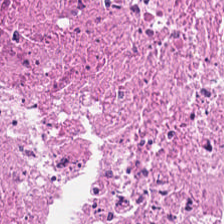Showing cellular debris.
